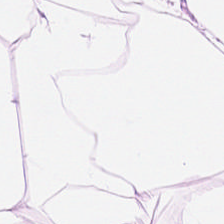Hematoxylin and eosin — This field is adipose tissue.
